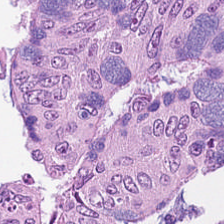Formalin-fixed paraffin-embedded section. 224×224 px tile. H&E stain. Tissue: colorectal adenocarcinoma epithelium.
